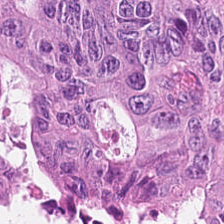Hematoxylin and eosin — Histology → tumor epithelium.
